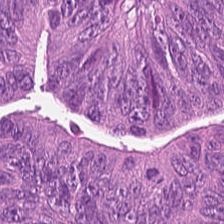Classification: adenocarcinoma.
